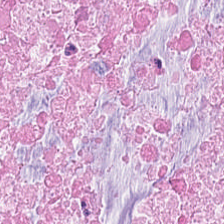Hematoxylin and eosin. Whole-slide-image patch.
Cellular debris.
